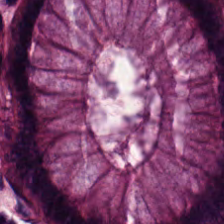Hematoxylin and eosin. Finding — normal colon mucosa.
